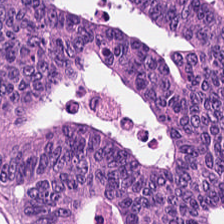0.5 µm/px; H&E — Q: What tissue type is shown here?
A: It is malignant epithelium.
